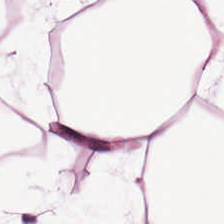Stain: H&E stain.
Tissue class: adipose tissue.
